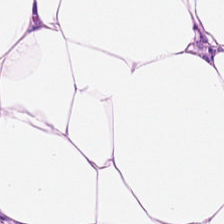Stain: hematoxylin-and-eosin stained section.
Predominant tissue: fat tissue.
